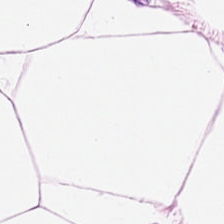224×224 px tile · hematoxylin and eosin · FFPE.
Showing adipose tissue.
